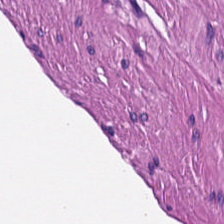224×224 px patch; H&E stain; WSI patch — Predominant tissue: muscularis.
